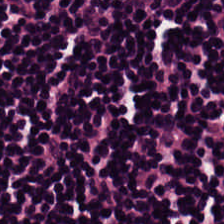H&E-stained tissue section. Brightfield. 20× equivalent magnification. This patch shows lymphocytic infiltrate.
